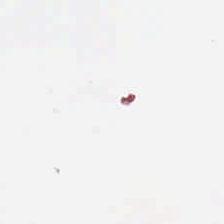Hematoxylin and eosin. This patch shows empty background.
